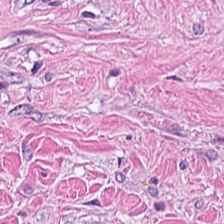Hematoxylin-and-eosin stained section. FFPE tissue section. Finding → tumor-associated stroma.
